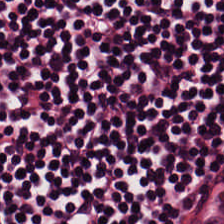H&E stain. Showing lymphocytes.
